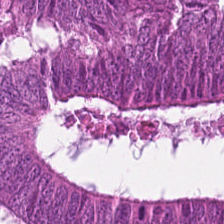Hematoxylin and eosin. The tissue here is adenocarcinoma.
